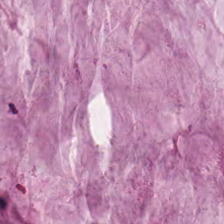H&E stain. Mucin.
